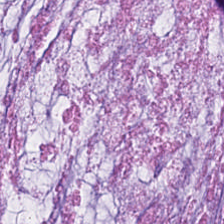0.5 microns per pixel; H&E stain.
The classification is mucus.
